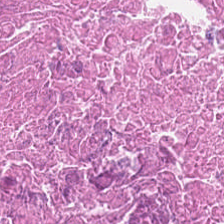Stain: H&E stain.
Classification: necrotic debris.
